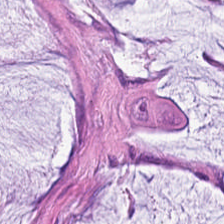H&E-stained tissue section; 0.5 microns per pixel — Q: What tissue type is shown here?
A: Mucus.
